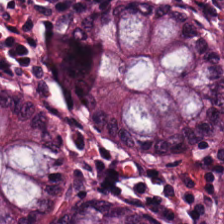224×224 pixel tile · hematoxylin and eosin. The tissue type is normal colon mucosa.
